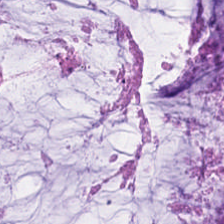Stain: H&E stain.
Tissue: mucin.
